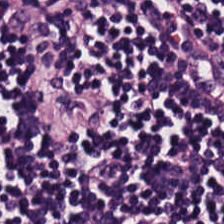Hematoxylin and eosin — The tissue class is lymphocyte aggregate.
